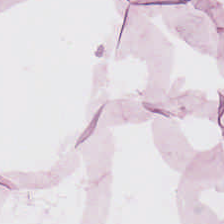0.5 µm per pixel · WSI patch · H&E stain — Classification = adipocytes.
